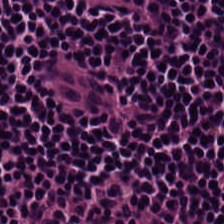Tissue: lymphocytic infiltrate.
